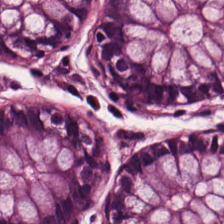H&E.
Tissue = normal colon mucosa.
